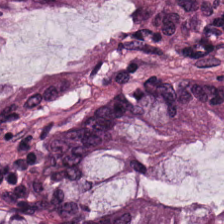Hematoxylin and eosin. The tissue here is benign colonic mucosa.
